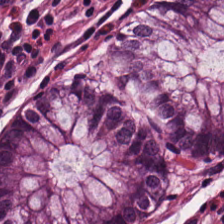Hematoxylin-and-eosin stained section — The tissue here is non-neoplastic colon mucosa.
